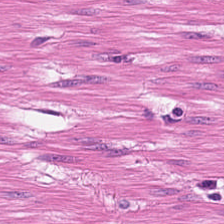Hematoxylin-and-eosin stained section. The tissue is smooth muscle.
